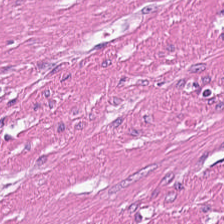H&E stain.
Tissue type = muscularis.
